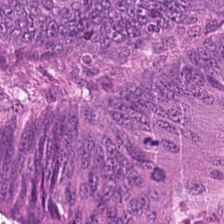Impression → adenocarcinoma.
